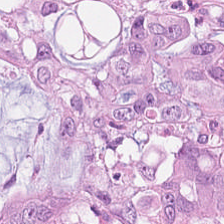The tissue is colorectal adenocarcinoma.
